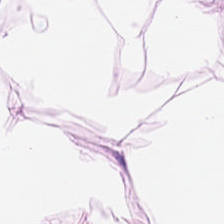Hematoxylin-and-eosin stained section.
Predominantly fat tissue.
